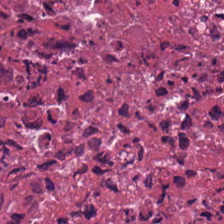H&E-stained tissue section.
{"tissue_type": "debris"}
